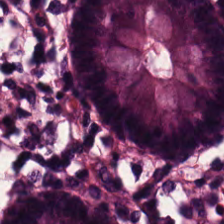0.5 µm/px; hematoxylin and eosin.
This field is normal colonic mucosa.
